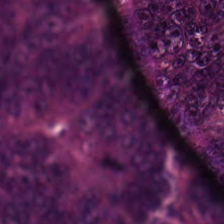H&E stain. Showing colorectal adenocarcinoma epithelium.
